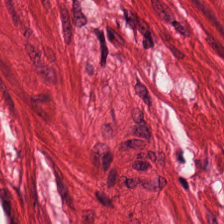Tissue type — smooth-muscle tissue.
